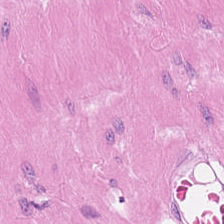The tissue type is smooth-muscle tissue.
